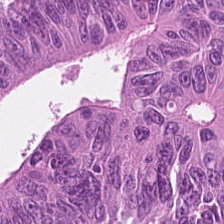H&E. Tissue type: adenocarcinoma.
